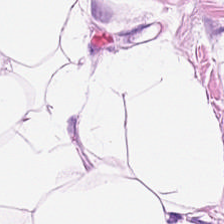H&E — Tissue class = adipocytes.
